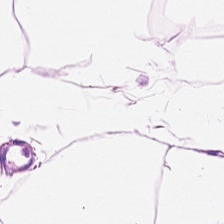Tissue class — adipose tissue.
